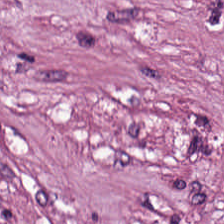Stain: hematoxylin and eosin.
Tissue: desmoplastic stroma.
